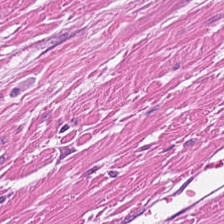Hematoxylin and eosin — Q: Classify this patch.
A: Smooth muscle.
